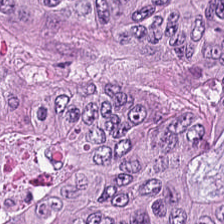Stain: H&E stain.
Tissue type: tumor epithelium.
